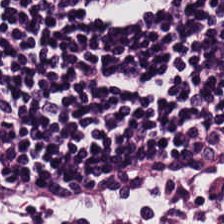224×224 pixel tile · 0.5 µm per pixel · hematoxylin-and-eosin stained section.
Showing lymphoid infiltrate.
